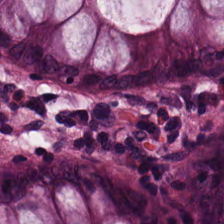H&E; FFPE.
Predominant tissue = benign colonic mucosa.
